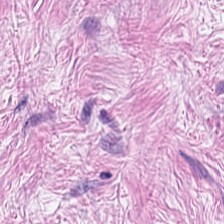Histology — tumor stroma.
